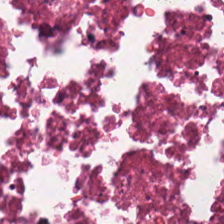Hematoxylin and eosin. Finding — debris.
